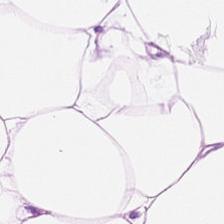0.5 microns per pixel. H&E stain. WSI patch — Q: What is the predominant tissue type?
A: Fat tissue.
